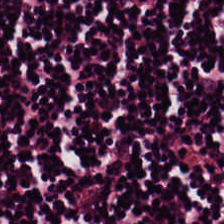20× equivalent magnification; H&E-stained tissue section. Tissue class = lymphocyte aggregate.
